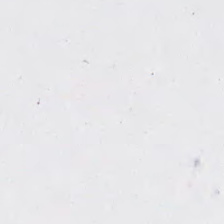H&E stain.
Background — no tissue in this field.
